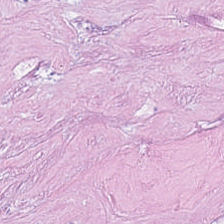H&E-stained tissue section. WSI patch — Histology → debris.
